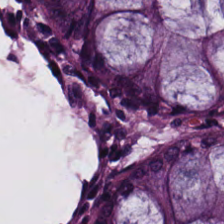H&E-stained tissue section. The predominant tissue is non-neoplastic colon mucosa.
